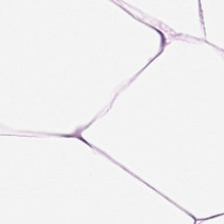WSI patch · H&E-stained tissue section · 0.5 µm/px. Histology → fat tissue.
